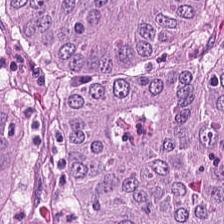H&E — Q: What is shown here?
A: Colorectal adenocarcinoma.
